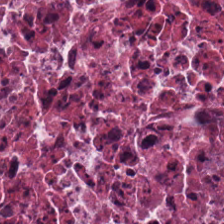H&E-stained tissue section; 0.5 microns per pixel; 224×224 pixel tile.
The tissue type is cellular debris.
